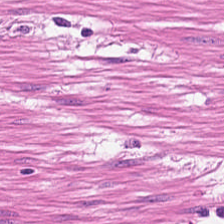Hematoxylin-and-eosin stained section.
Impression — muscularis.
